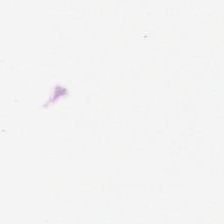WSI patch; hematoxylin and eosin; 224×224 pixel tile. Q: What is shown here?
A: Background (no tissue).
